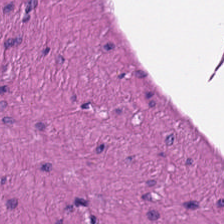The classification is muscularis.
